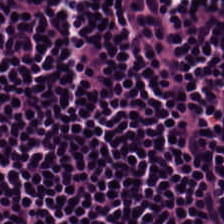Hematoxylin-and-eosin stained section. Q: Classify this patch.
A: Lymphocytic infiltrate.
